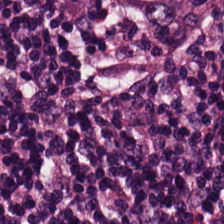H&E-stained tissue section showing lymphoid infiltrate.
